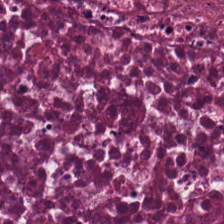H&E.
Classification — cellular debris.
